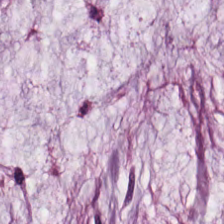Stain: hematoxylin-and-eosin stained section.
Predominant tissue: extracellular mucin.
